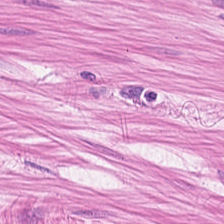Q: What is shown in this field?
A: This is smooth muscle.
